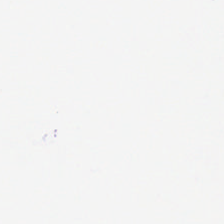H&E stain — {"content": "empty background"}
